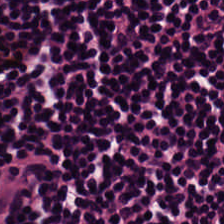{"tissue_type": "lymphocytic infiltrate"}
